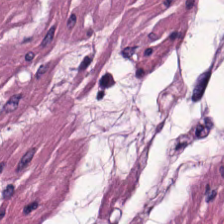Finding → smooth-muscle tissue.
